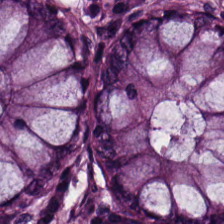Q: Classify this patch.
A: The field shows non-neoplastic colon mucosa.
